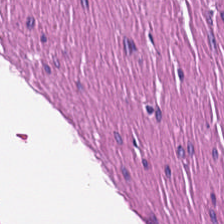H&E-stained tissue section. Showing smooth muscle.
